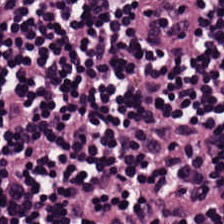Classification: lymphoid infiltrate.
